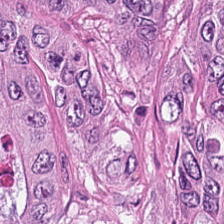0.5 µm per pixel · H&E stain — Classification — adenocarcinoma.
